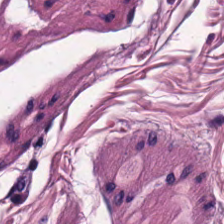Hematoxylin and eosin — Muscularis.
